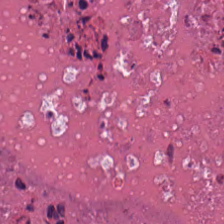Hematoxylin and eosin; whole-slide-image patch; 0.5 microns per pixel. {"tissue_type": "necrotic debris"}
